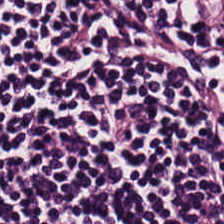Hematoxylin-and-eosin stained section.
Predominantly lymphoid infiltrate.
